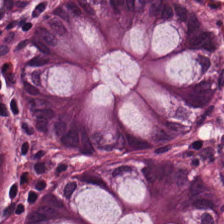Classification — benign colonic mucosa.
